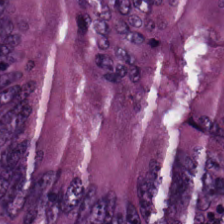Classification: colorectal adenocarcinoma.
